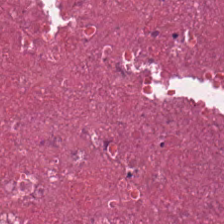H&E-stained tissue section — The tissue here is debris.
